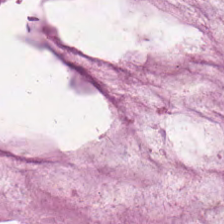Hematoxylin-and-eosin stained section — Tissue class: mucus.
